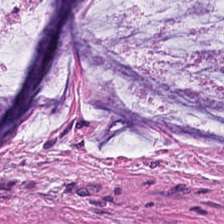Stain: hematoxylin-and-eosin stained section.
Tile size: 224×224 px tile.
Preparation: FFPE.
Tissue: mucus.
